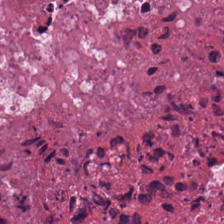Hematoxylin-and-eosin stained section.
This field is cellular debris.
